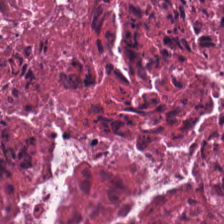WSI patch. 0.5 µm per pixel. H&E stain — Tissue class — debris.
